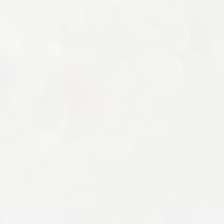224×224 pixel tile. Hematoxylin-and-eosin stained section.
Background — no tissue in this field.
